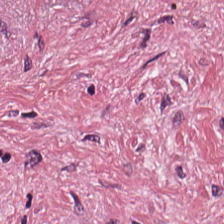H&E — Desmoplastic stroma.
